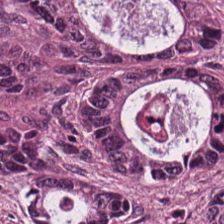224×224 px tile; 0.5 microns per pixel; hematoxylin and eosin — {"tissue_type": "tumor epithelium"}
